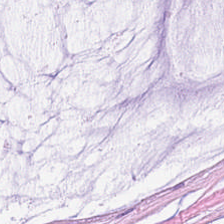H&E stain. Q: What tissue is shown?
A: This is extracellular mucin.
